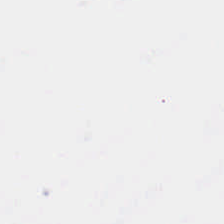Stain: hematoxylin-and-eosin stained section.
Classification: empty background.
